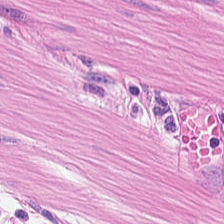H&E; FFPE. Tissue type — smooth muscle.
